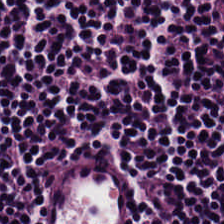H&E.
The predominant tissue is lymphocyte aggregate.
